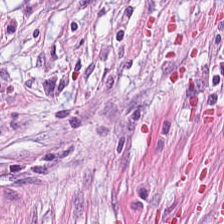Tissue class: desmoplastic stroma.
